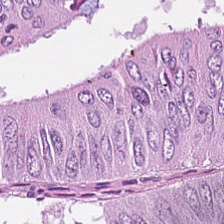0.5 µm per pixel. Hematoxylin and eosin — Impression — colorectal adenocarcinoma epithelium.
